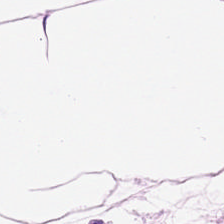Hematoxylin and eosin. 0.5 µm per pixel — Histology — fat tissue.
